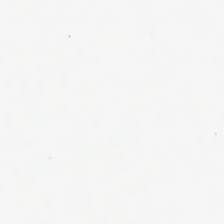Q: Classify this patch.
A: The field shows background (no tissue).
